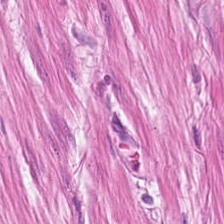Predominantly smooth muscle.
